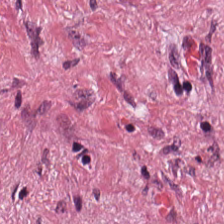Hematoxylin and eosin — Predominantly tumor stroma.
